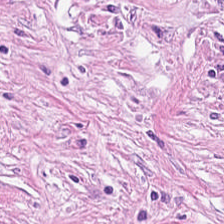H&E stain.
Showing tumor-associated stroma.
